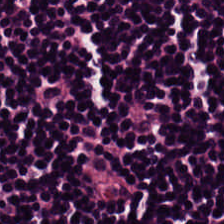H&E.
The predominant tissue is lymphoid infiltrate.
